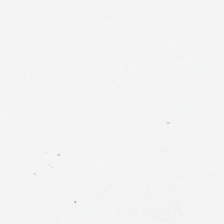Whole-slide-image patch. H&E-stained tissue section.
No tissue present; background only.
